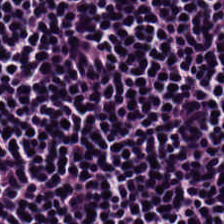The tissue is lymphoid infiltrate.
